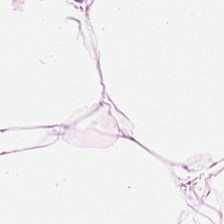20× equivalent magnification · FFPE · H&E stain — Histology — adipocytes.
